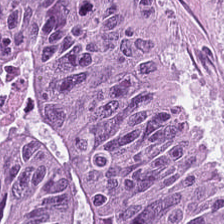This patch shows malignant epithelium.
